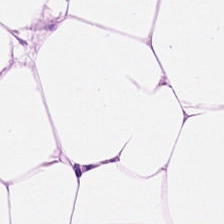FFPE. Hematoxylin and eosin — Adipose tissue.
